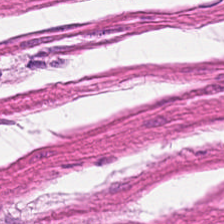Q: What type of tissue is this?
A: The field shows smooth-muscle tissue.
